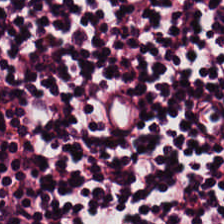H&E. Formalin-fixed paraffin-embedded section.
The tissue here is lymphocytic infiltrate.
